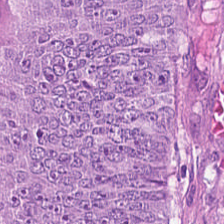Hematoxylin-and-eosin stained section — Predominantly adenocarcinoma.
